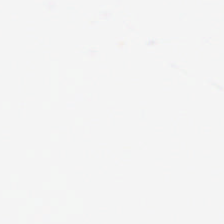Stain: H&E.
Classification: background (no tissue).
